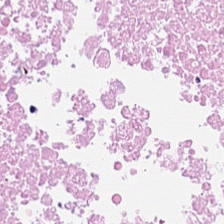Hematoxylin-and-eosin stained section — The tissue here is necrotic debris.
